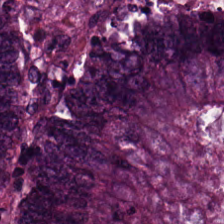H&E stain · whole-slide-image patch — Tissue = adenocarcinoma.
